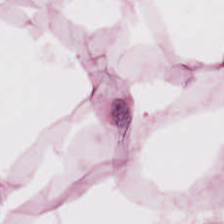Stain: hematoxylin and eosin.
Tissue type: adipocytes.
